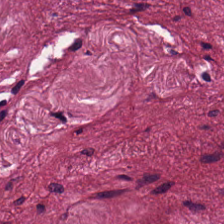Formalin-fixed paraffin-embedded section. H&E. Showing desmoplastic stroma.
